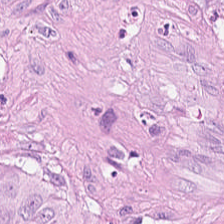Hematoxylin and eosin. Impression → adenocarcinoma.
